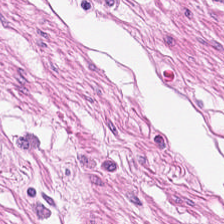Predominantly muscularis.
